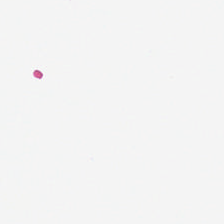H&E stain.
Empty field — background (no tissue).
